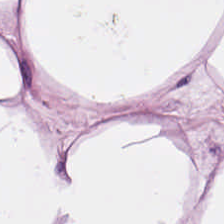Hematoxylin and eosin — This field is adipose.
